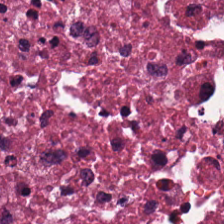H&E. 0.5 µm/px. The classification is cellular debris.
